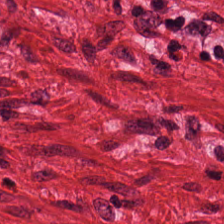Stain: hematoxylin-and-eosin stained section.
Tissue type: smooth muscle.
